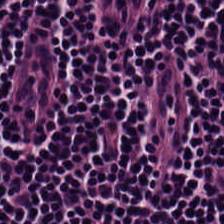Stain: H&E-stained tissue section.
Tissue: lymphoid infiltrate.
